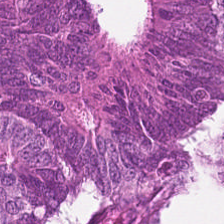{"tissue_type": "tumor epithelium"}
